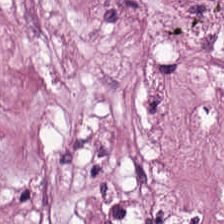The tissue is cancer-associated stroma.
